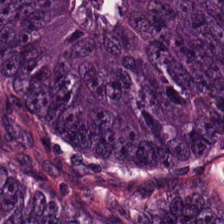Whole-slide-image patch; H&E; FFPE — Classification = tumor epithelium.
